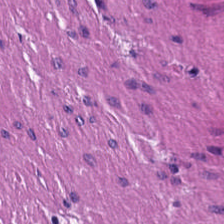H&E-stained tissue section; 224×224 px tile — Predominant tissue = smooth muscle.
